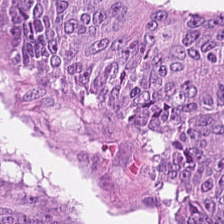H&E stain — This patch shows adenocarcinoma.
